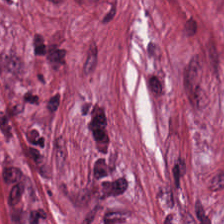Hematoxylin-and-eosin stained section; brightfield microscopy. The predominant tissue is tumor stroma.
